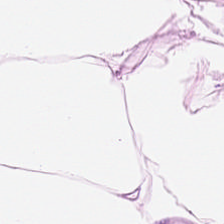This field is fat tissue.
